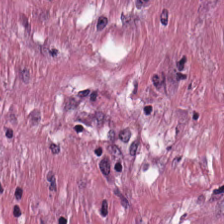Whole-slide-image patch; hematoxylin and eosin. Classification: cancer-associated stroma.
